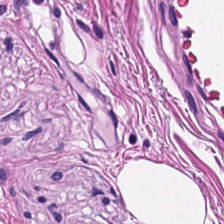Hematoxylin-and-eosin stained section.
Showing smooth muscle.
